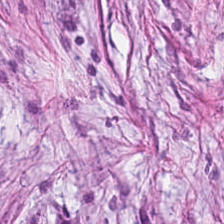Whole-slide-image patch. 224×224 pixel tile. H&E-stained tissue section. Classification: desmoplastic stroma.
